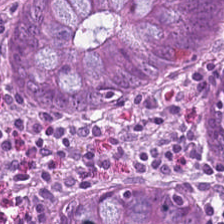Impression → normal colon mucosa.
